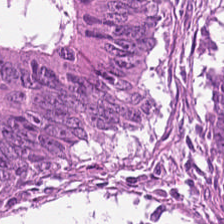0.5 microns per pixel · hematoxylin-and-eosin stained section — Q: What is the predominant tissue type?
A: It is malignant epithelium.
